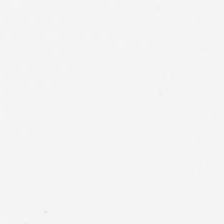224×224 px tile · hematoxylin-and-eosin stained section — Classification: background (no tissue).
